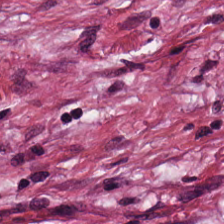H&E-stained tissue section · WSI patch.
Predominant tissue: cancer-associated stroma.
